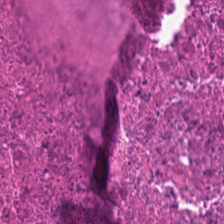Whole-slide-image patch · hematoxylin and eosin. {"tissue_type": "necrotic debris"}
